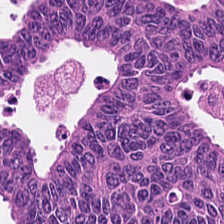Hematoxylin and eosin · FFPE tissue section — Classification — colorectal adenocarcinoma.
